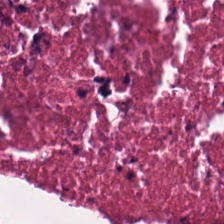Hematoxylin and eosin. The predominant tissue is cellular debris.
